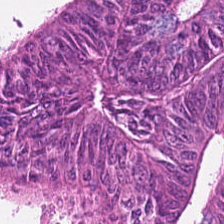Hematoxylin and eosin; brightfield microscopy. Predominant tissue = adenocarcinoma.
